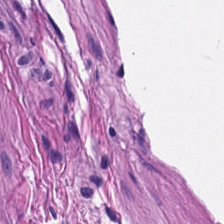Whole-slide-image patch. H&E — Q: Classify this patch.
A: It is smooth-muscle tissue.
